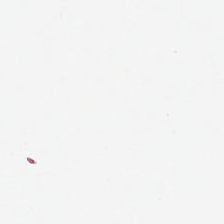WSI patch. H&E-stained tissue section.
Impression → background.
